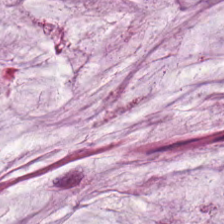H&E-stained tissue section · WSI patch.
The predominant tissue is mucin.
